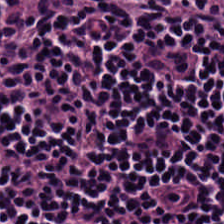224×224 pixel tile. H&E-stained tissue section — {"tissue_type": "lymphoid infiltrate"}
